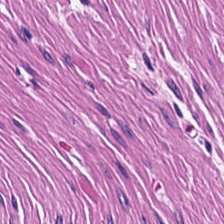H&E-stained tissue section — Impression → muscularis.
